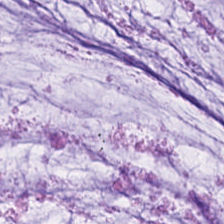Hematoxylin and eosin — This patch shows mucus.
